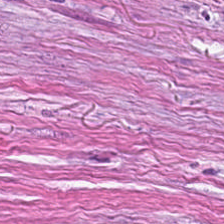224×224 px patch. 0.5 µm/px. H&E. Finding — tumor stroma.
